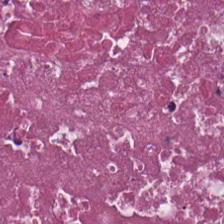20× equivalent magnification · H&E-stained tissue section — The tissue is debris.
